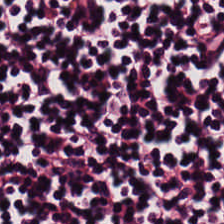FFPE; WSI patch; H&E.
The predominant tissue is lymphocyte aggregate.
